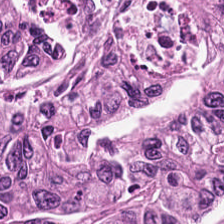Tissue class — adenocarcinoma.
